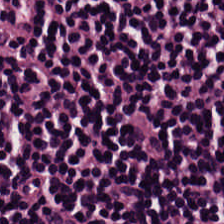H&E stain.
Predominantly lymphocyte aggregate.
